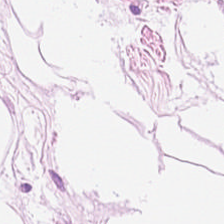Stain: H&E stain.
Resolution: 20× equivalent magnification.
Preparation: FFPE tissue section.
Predominant tissue: adipose tissue.
